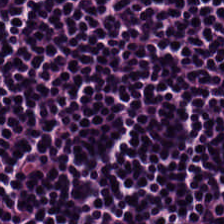H&E-stained tissue section. Brightfield microscopy — Q: What tissue is shown?
A: This is lymphocyte aggregate.
